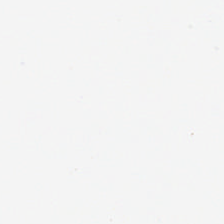Content: background.
